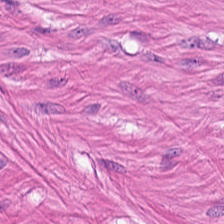FFPE tissue section · hematoxylin-and-eosin stained section — Showing smooth muscle.
